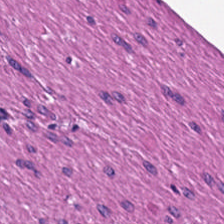Predominant tissue = smooth-muscle tissue.
